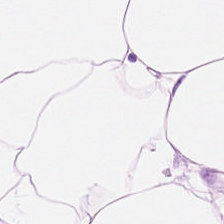H&E stain. FFPE — Tissue class = adipose.
